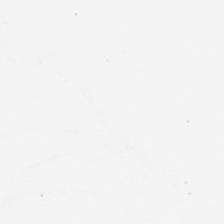H&E stain — Classification: no tissue.
